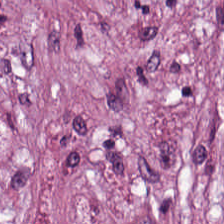Finding → tumor stroma.
